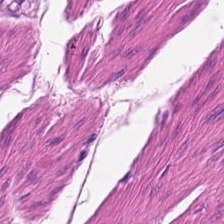Hematoxylin and eosin. Q: Classify this patch.
A: The field shows smooth muscle.
